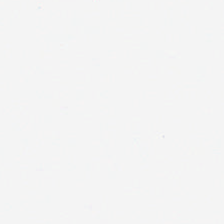Hematoxylin and eosin. 0.5 µm/px. 224×224 pixel tile.
The field content is no tissue.
